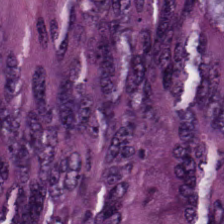H&E stain — Colorectal adenocarcinoma epithelium.
